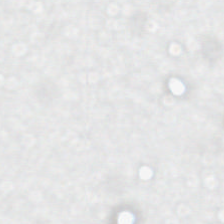Hematoxylin and eosin · FFPE tissue section.
Classification = no tissue.
